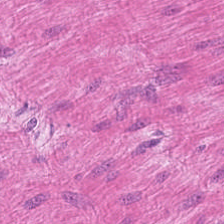Hematoxylin and eosin. This field is smooth-muscle tissue.
